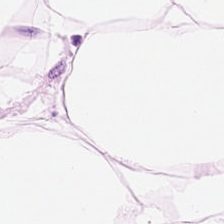Hematoxylin and eosin. 224×224 px patch. Brightfield microscopy — Predominant tissue = adipose tissue.
